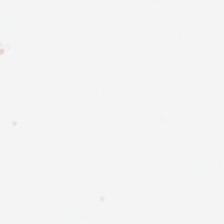H&E stain. Background.
